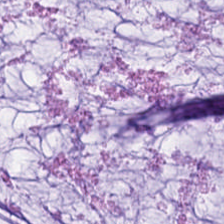Hematoxylin-and-eosin stained section.
Q: What does this patch show?
A: It is mucin.
